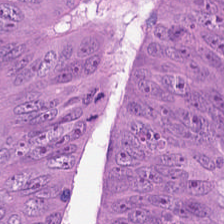This patch shows adenocarcinoma.
